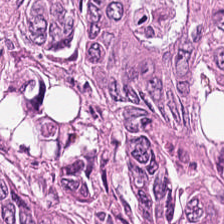H&E — The tissue here is colorectal adenocarcinoma.
